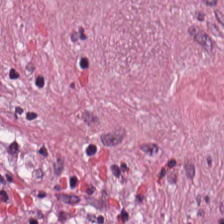Hematoxylin and eosin. 224×224 px tile — Impression — desmoplastic stroma.
